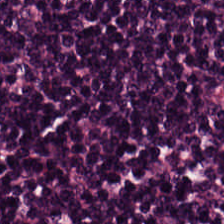Hematoxylin-and-eosin stained section.
Finding — lymphocyte aggregate.
